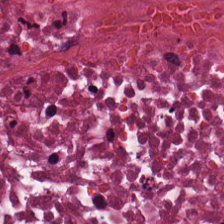Brightfield · hematoxylin-and-eosin stained section · 224×224 px patch — Predominantly necrotic debris.
